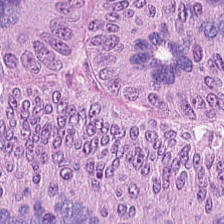Impression → malignant epithelium.
